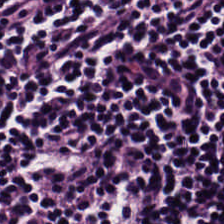Hematoxylin and eosin. The tissue class is lymphoid infiltrate.
